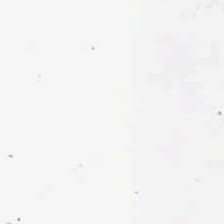H&E-stained tissue section — Background (no tissue).
